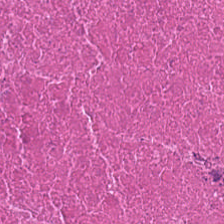H&E-stained tissue section — Q: What does this patch show?
A: The field shows cellular debris.
